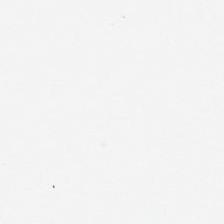Hematoxylin-and-eosin stained section — Background — no tissue in this field.
